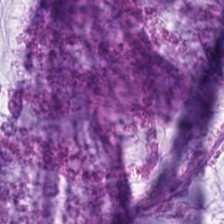H&E stain.
The tissue class is mucus.
